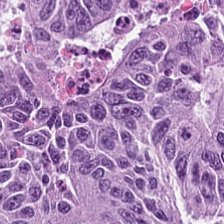224×224 pixel tile · H&E-stained tissue section — Tissue: colorectal adenocarcinoma.
